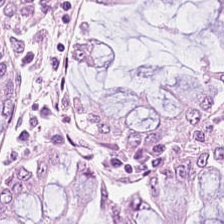Hematoxylin-and-eosin stained section · FFPE.
This patch shows normal colon mucosa.
